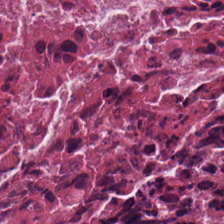H&E stain · 0.5 µm/px — This field is debris.
